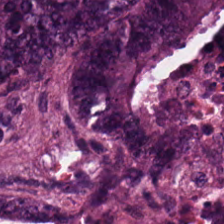H&E-stained tissue section — Tissue type: adenocarcinoma.
